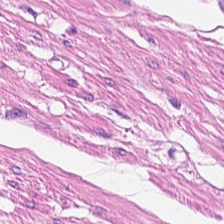Hematoxylin-and-eosin stained section.
Finding → muscularis.
